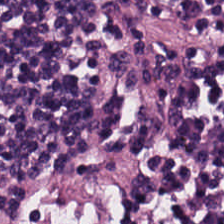Hematoxylin-and-eosin stained section.
Tissue type = lymphocytic infiltrate.
